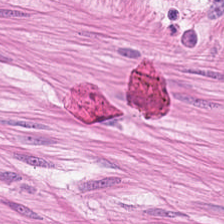Hematoxylin and eosin.
Tissue: smooth-muscle tissue.
